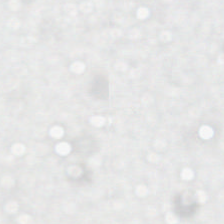H&E; 224×224 px patch. No tissue present; background only.
